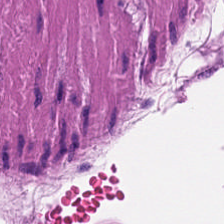Tissue = muscularis.
